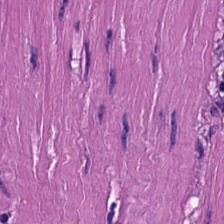{"tissue_type": "muscularis"}
